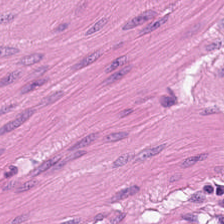Hematoxylin and eosin. Tissue — smooth-muscle tissue.
